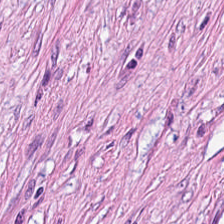H&E-stained tissue section. This patch shows tumor stroma.
